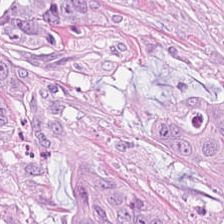Stain: hematoxylin and eosin.
Tissue class: adenocarcinoma.
